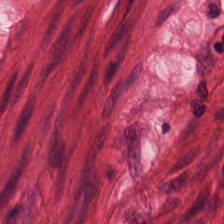This field is smooth-muscle tissue.
